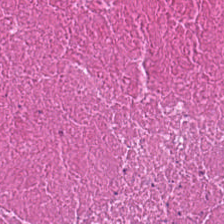Hematoxylin-and-eosin stained section.
Predominant tissue = debris.
